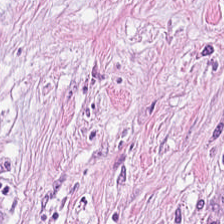Stain: H&E.
Acquisition: whole-slide-image patch.
Tissue type: tumor-associated stroma.
